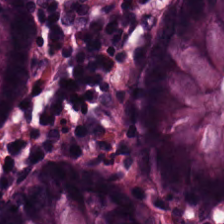Hematoxylin and eosin. Finding — benign colonic mucosa.
